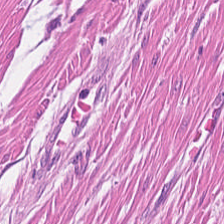Hematoxylin and eosin. 0.5 µm per pixel. Q: What does this patch show?
A: Smooth-muscle tissue.
